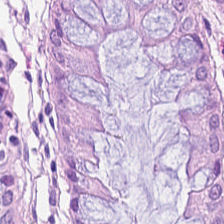H&E stain. Q: What is the predominant tissue type?
A: This is non-neoplastic colon mucosa.
